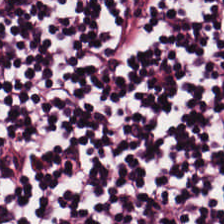Hematoxylin and eosin · 0.5 microns per pixel. Histology — lymphocytic infiltrate.
